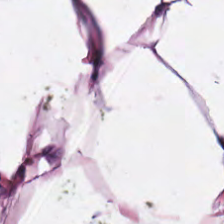H&E stain.
Q: What is the predominant tissue type?
A: This is adipose tissue.
